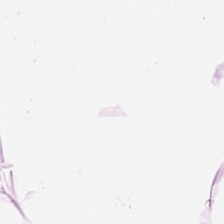H&E stain — Finding → fat tissue.
